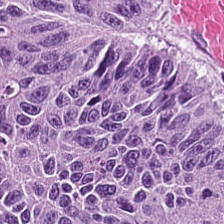H&E-stained tissue section · 224×224 pixel tile — This field is tumor epithelium.
